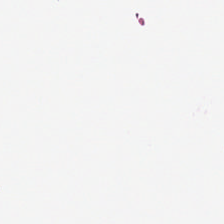224×224 px tile · hematoxylin-and-eosin stained section · 20× equivalent magnification — Content: empty background.
